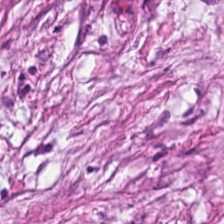WSI patch; hematoxylin and eosin.
The tissue class is desmoplastic stroma.
